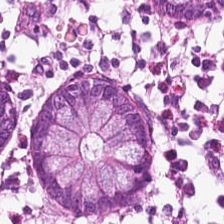Histology → normal colonic mucosa.
